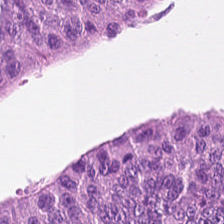This patch shows malignant epithelium.
